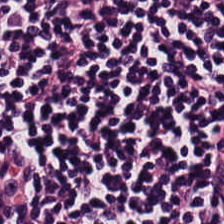Formalin-fixed paraffin-embedded section. H&E stain.
This patch shows lymphocytes.
